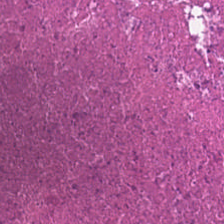Stain: H&E-stained tissue section.
Tissue type: necrotic debris.
